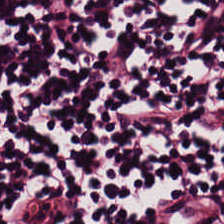H&E stain.
Classification: lymphocytic infiltrate.
